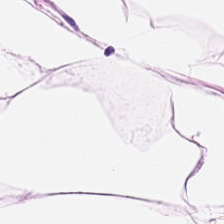224×224 px patch; hematoxylin-and-eosin stained section — This field is adipose tissue.
